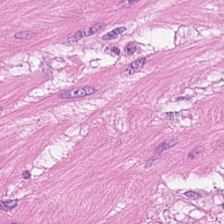Q: What tissue is shown?
A: Muscularis.
